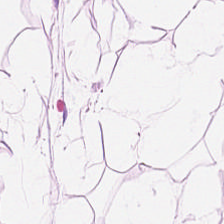H&E — Impression — adipose.
